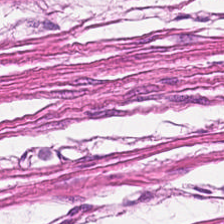{"tissue_type": "smooth muscle"}
